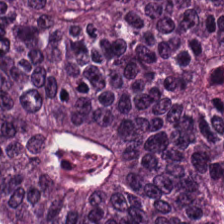Q: Identify the tissue.
A: The field shows tumor epithelium.
